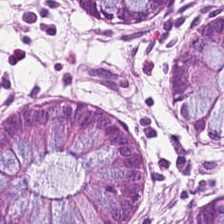0.5 µm/px. Hematoxylin and eosin — The tissue here is normal colon mucosa.
